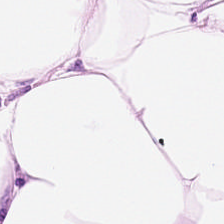Stain: hematoxylin and eosin.
Acquisition: brightfield.
Tissue class: adipose tissue.
